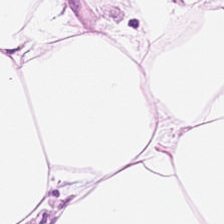Stain: H&E.
Tissue: fat tissue.
